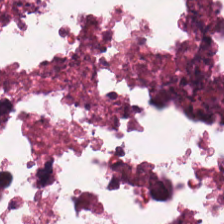Hematoxylin-and-eosin stained section — Histology — debris.
